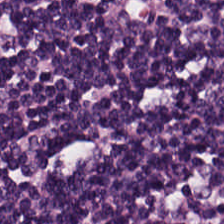Stain: hematoxylin and eosin.
Tissue class: lymphocytes.
